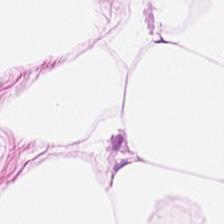Q: Identify the tissue.
A: It is adipose tissue.
